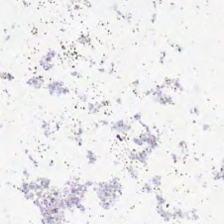Hematoxylin-and-eosin stained section · 224×224 px tile. This patch shows empty background.
